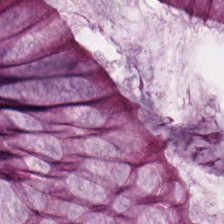Showing normal colon mucosa.
